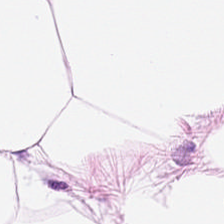Stain: H&E.
Tile size: 224×224 px patch.
Classification: adipocytes.
